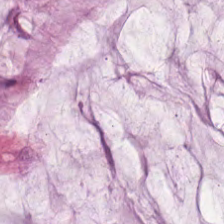Hematoxylin-and-eosin stained section; FFPE. Tissue — extracellular mucin.
